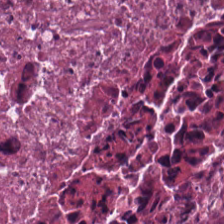0.5 µm/px; H&E stain. Classification = cellular debris.
